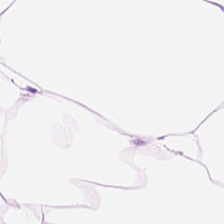H&E-stained tissue section.
Q: What is shown in this field?
A: The field shows adipose tissue.
